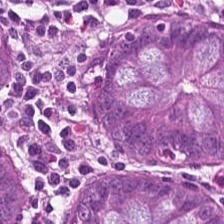Stain: hematoxylin and eosin.
Predominant tissue: normal colonic mucosa.
